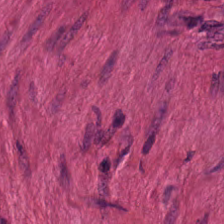Hematoxylin and eosin.
Predominantly smooth muscle.
